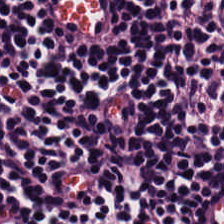224×224 px tile. FFPE. Hematoxylin and eosin.
Histology — lymphoid infiltrate.
